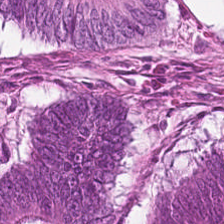Hematoxylin-and-eosin section: colorectal adenocarcinoma epithelium.
